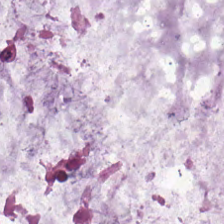H&E stain.
Impression — mucin.
